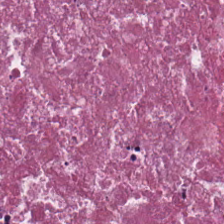0.5 µm/px · H&E stain.
Q: What does this patch show?
A: It is cellular debris.
